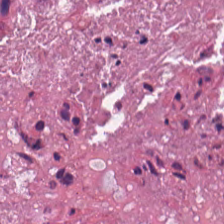Stain: H&E.
Tissue: debris.
